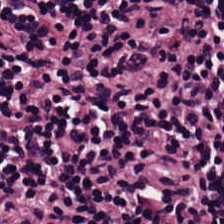Hematoxylin and eosin. Showing lymphocytes.
